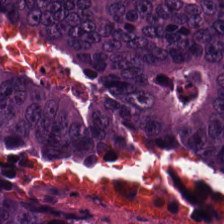{"tissue_type": "adenocarcinoma"}
